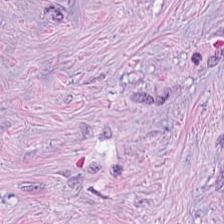H&E — This field is cancer-associated stroma.
